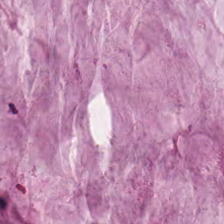Predominant tissue — extracellular mucin.
